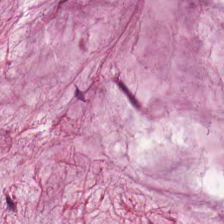Tissue class: mucin.
